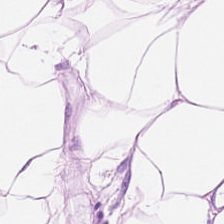Stain: hematoxylin-and-eosin stained section.
Tile size: 224×224 pixel tile.
Preparation: formalin-fixed paraffin-embedded section.
Predominant tissue: adipose tissue.
